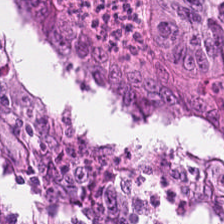Stain: H&E-stained tissue section.
Resolution: 0.5 µm per pixel.
Classification: colorectal adenocarcinoma epithelium.
